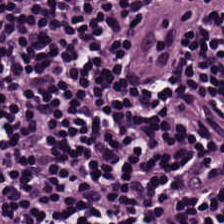224×224 px tile · H&E — {"tissue_type": "lymphoid infiltrate"}
